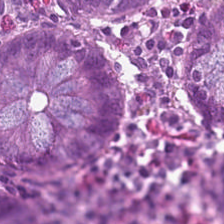0.5 µm per pixel · H&E · 224×224 px tile. Predominantly benign colonic mucosa.
